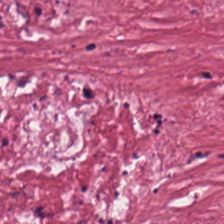0.5 µm/px · H&E. The tissue is tumor-associated stroma.
